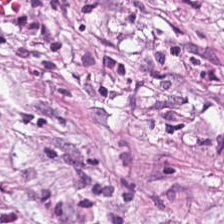Hematoxylin and eosin. This patch shows tumor stroma.
